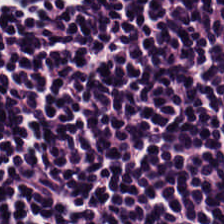0.5 µm/px; FFPE; H&E-stained tissue section. Predominantly lymphoid infiltrate.
